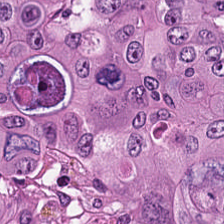H&E; WSI patch.
The tissue here is adenocarcinoma.
